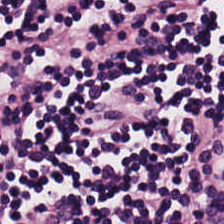Tissue class — lymphocytic infiltrate.
